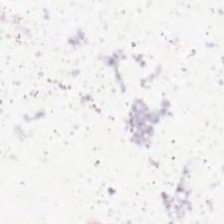Hematoxylin-and-eosin stained section.
Background.
